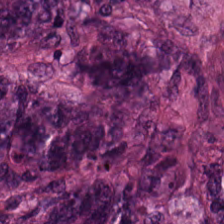Hematoxylin and eosin. FFPE. 224×224 px tile.
Q: Classify this patch.
A: The field shows tumor epithelium.
